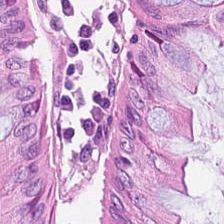Stain: H&E-stained tissue section.
Predominant tissue: non-neoplastic colon mucosa.
